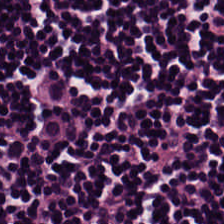H&E-stained tissue section. Lymphoid infiltrate.
